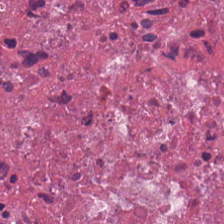Brightfield. H&E stain. 0.5 µm/px — This field is debris.
